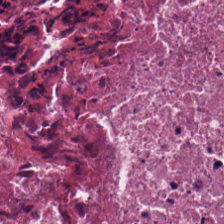H&E-stained tissue section.
The predominant tissue is debris.
